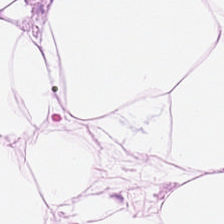WSI patch; hematoxylin and eosin.
The predominant tissue is adipose.
